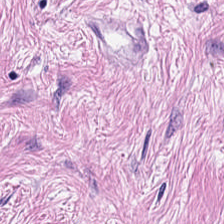Showing desmoplastic stroma.
